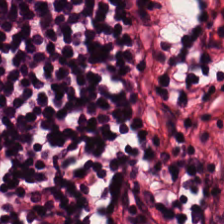H&E. The tissue here is lymphocytic infiltrate.
